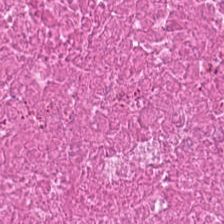0.5 µm per pixel; H&E-stained tissue section; 224×224 px tile — Tissue class = necrotic debris.
